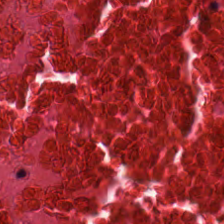H&E-stained tissue section. 224×224 px patch.
This field is debris.
